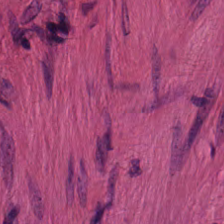H&E stain. Tissue = muscularis.
